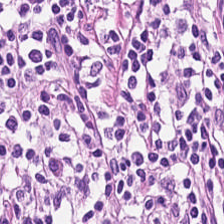Stain: H&E-stained tissue section.
Acquisition: brightfield microscopy.
Resolution: 0.5 µm/px.
Tissue type: lymphoid infiltrate.
